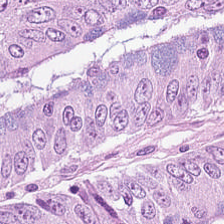224×224 px patch. Hematoxylin and eosin — The classification is colorectal adenocarcinoma epithelium.
